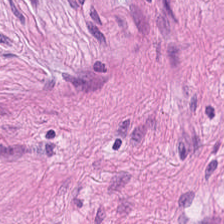H&E.
Smooth-muscle tissue.
